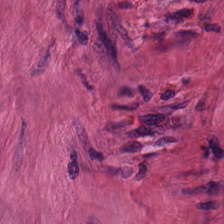H&E — Predominantly smooth-muscle tissue.
